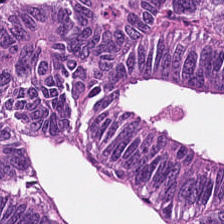H&E stain — Q: What tissue is shown?
A: This is adenocarcinoma.
